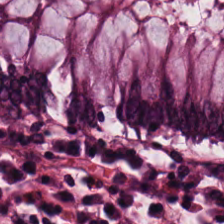224×224 px tile · hematoxylin-and-eosin stained section · WSI patch.
This field is non-neoplastic colon mucosa.
